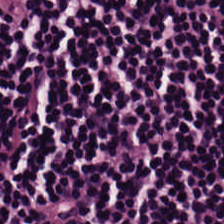H&E. Q: What is the predominant tissue type?
A: The field shows lymphoid infiltrate.
